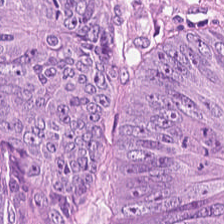Hematoxylin and eosin.
Q: What tissue is shown?
A: The field shows adenocarcinoma.
